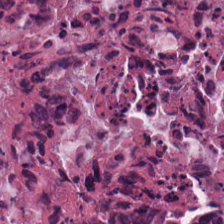H&E. Cellular debris.
